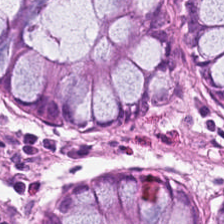Stain: H&E-stained tissue section.
Predominant tissue: normal colonic mucosa.
